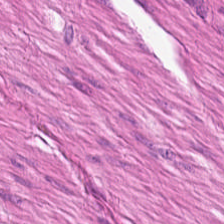224×224 px patch · hematoxylin-and-eosin stained section · formalin-fixed paraffin-embedded section.
The predominant tissue is smooth muscle.
